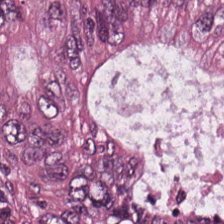Formalin-fixed paraffin-embedded section · hematoxylin and eosin · 0.5 µm/px — Tissue type — colorectal adenocarcinoma.
